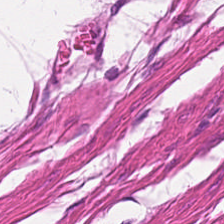The tissue here is muscularis.
